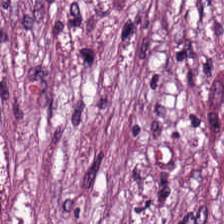Hematoxylin and eosin · WSI patch.
The classification is desmoplastic stroma.
